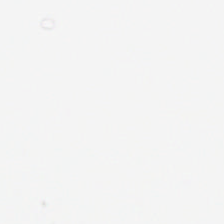H&E — Classification = background.
